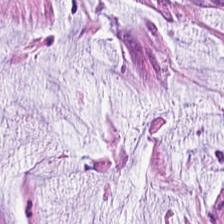Stain: H&E stain.
Tissue class: mucin.
